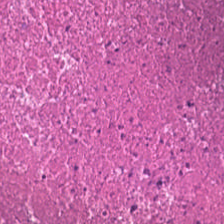Formalin-fixed paraffin-embedded section. H&E.
The tissue here is cellular debris.
